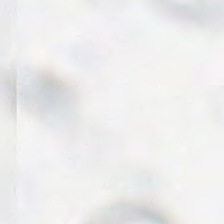H&E stain — Empty background.
